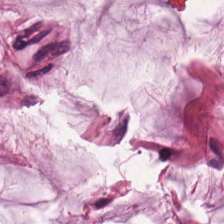Stain: H&E-stained tissue section.
Tissue: extracellular mucin.
